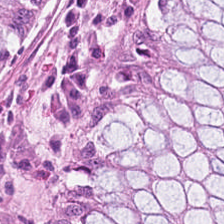Hematoxylin-and-eosin stained section — Showing benign colonic mucosa.
